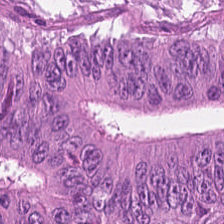FFPE · 224×224 px tile · hematoxylin-and-eosin stained section — Histology → malignant epithelium.
